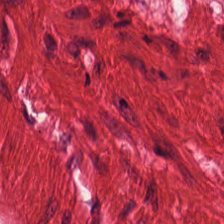The tissue class is muscularis.
